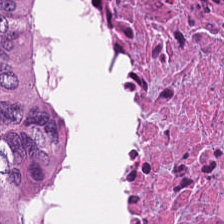Hematoxylin and eosin. 0.5 µm/px. WSI patch. The tissue here is cellular debris.
